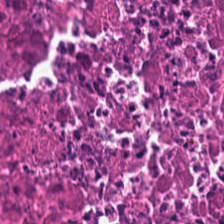H&E-stained tissue section.
This field is debris.
